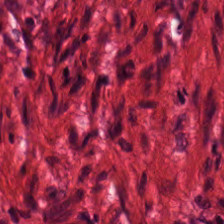H&E stain. 0.5 microns per pixel.
Q: Identify the tissue.
A: The field shows smooth muscle.
